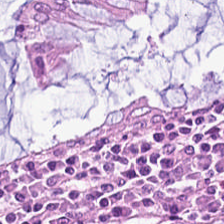H&E stain. The tissue type is benign colonic mucosa.
